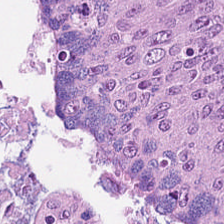H&E stain.
Histology → colorectal adenocarcinoma epithelium.
